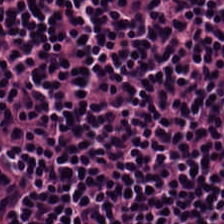Hematoxylin-and-eosin section: lymphoid infiltrate.
